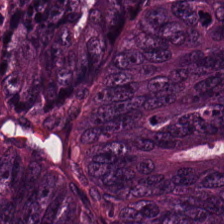H&E-stained tissue section — {"tissue_type": "colorectal adenocarcinoma"}
